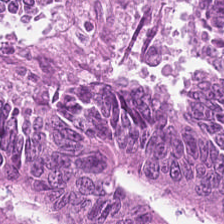H&E-stained tissue section · formalin-fixed paraffin-embedded section · whole-slide-image patch. Predominant tissue: tumor epithelium.
